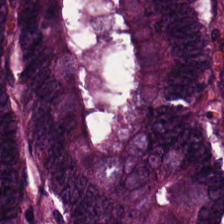H&E stain. Tissue type: colorectal adenocarcinoma epithelium.
